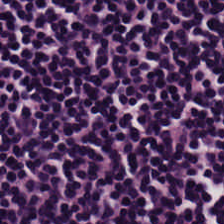H&E · 0.5 µm/px — Q: Classify this patch.
A: Lymphoid infiltrate.
